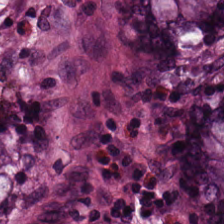Stain: H&E stain.
Tile size: 224×224 pixel tile.
Resolution: 20× equivalent magnification.
Tissue type: benign colonic mucosa.
